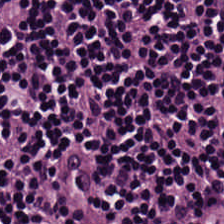Showing lymphoid infiltrate.
